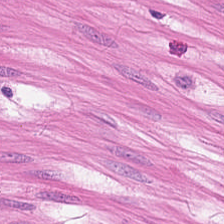Stain: H&E-stained tissue section.
Resolution: 20× equivalent magnification.
Tile size: 224×224 pixel tile.
Tissue: smooth-muscle tissue.
